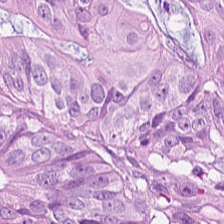Hematoxylin and eosin. The predominant tissue is colorectal adenocarcinoma epithelium.
